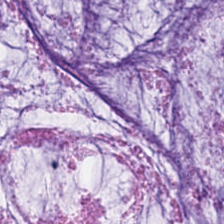H&E-stained tissue section. {"tissue_type": "mucus"}
